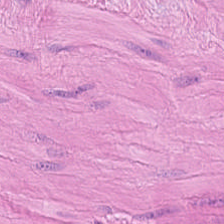Brightfield microscopy; H&E stain.
The tissue type is smooth muscle.
